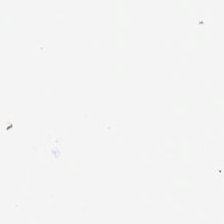Stain: hematoxylin and eosin.
Classification: background.
